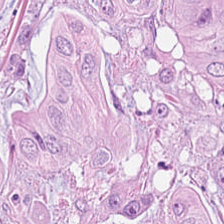Colorectal adenocarcinoma.
